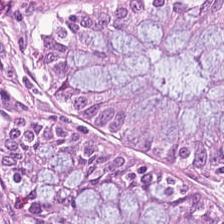0.5 microns per pixel; H&E stain; brightfield microscopy.
Predominant tissue = normal colon mucosa.
